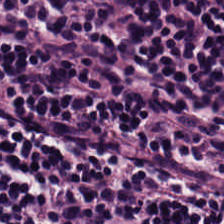Hematoxylin-and-eosin stained section.
This patch shows lymphocytic infiltrate.
